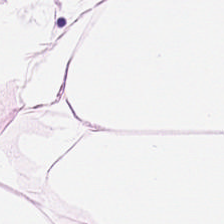Q: What is shown here?
A: Fat tissue.
